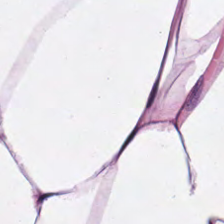The tissue is adipose tissue.
